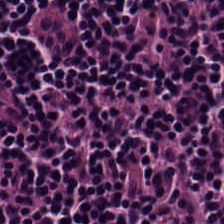Showing lymphocytes.
